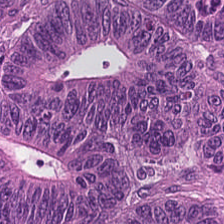H&E-stained tissue section.
This patch shows colorectal adenocarcinoma epithelium.
